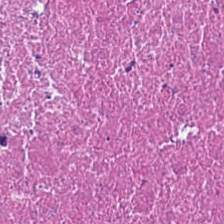224×224 pixel tile. Hematoxylin and eosin.
Finding — debris.
